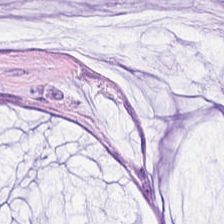H&E-stained section; the field shows extracellular mucin.
